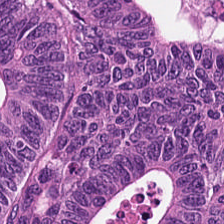FFPE · H&E stain · brightfield microscopy.
{"tissue_type": "malignant epithelium"}
